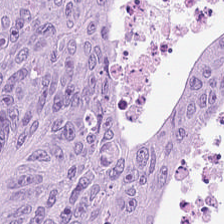Hematoxylin-and-eosin stained section. 224×224 px patch. 0.5 µm/px.
Predominant tissue: colorectal adenocarcinoma.
